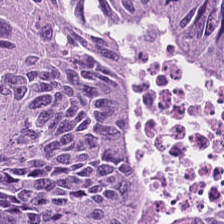Stain: H&E-stained tissue section.
Classification: colorectal adenocarcinoma.
